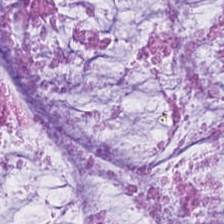Hematoxylin and eosin — Showing mucin.
